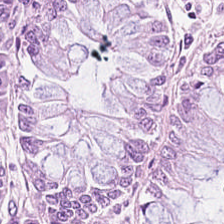H&E-stained tissue section; FFPE tissue section. Predominantly normal colon mucosa.
